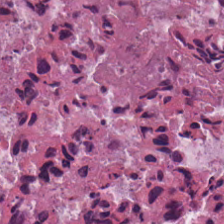H&E. Tissue type = necrotic debris.
